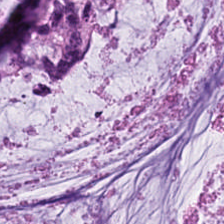Brightfield. H&E-stained tissue section.
This patch shows extracellular mucin.
